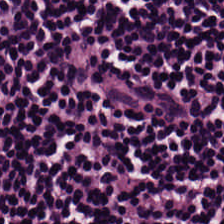H&E stain.
The classification is lymphocytic infiltrate.
